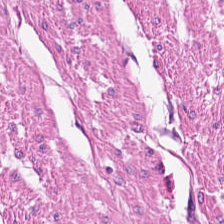Q: Classify this patch.
A: The field shows smooth muscle.
